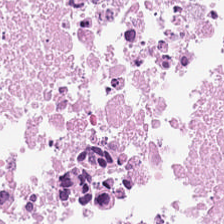H&E-stained tissue section.
Tissue — necrotic debris.
